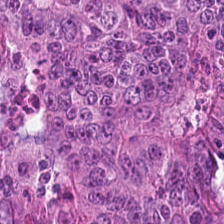Hematoxylin and eosin. 0.5 µm/px.
This patch shows malignant epithelium.
